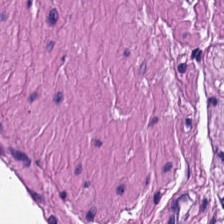H&E — muscularis.
